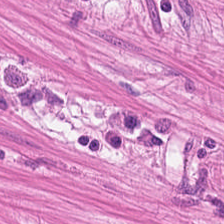Stain: H&E stain.
Tissue class: smooth-muscle tissue.
